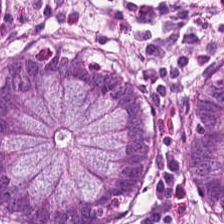224×224 px patch; H&E; formalin-fixed paraffin-embedded section. Q: What tissue is shown?
A: It is normal colon mucosa.
